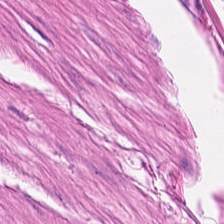H&E stain — This field is muscularis.
